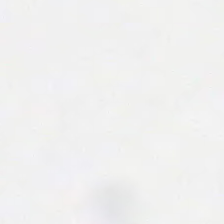Hematoxylin and eosin. Whole-slide-image patch. FFPE.
No tissue present; background only.
